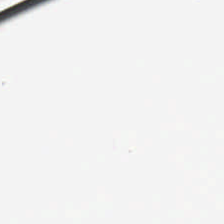Content: background (no tissue).
